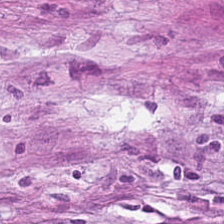H&E-stained tissue section. This patch shows tumor stroma.
